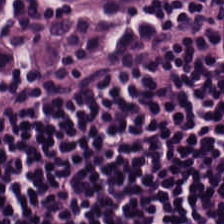Whole-slide-image patch; hematoxylin-and-eosin stained section; FFPE tissue section.
Q: What is shown in this field?
A: This is lymphoid infiltrate.
